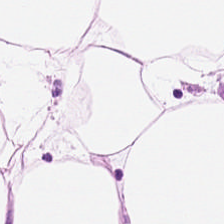Hematoxylin-and-eosin stained section.
{"tissue_type": "fat tissue"}
